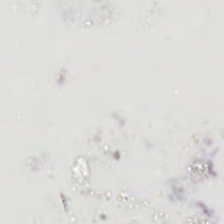H&E-stained tissue section. Background.
